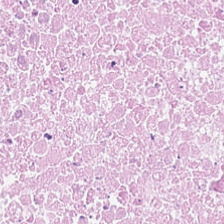Hematoxylin-and-eosin stained section — {"tissue_type": "debris"}
